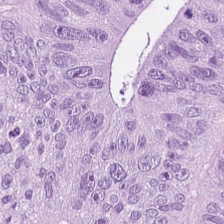224×224 pixel tile. H&E-stained tissue section. {"tissue_type": "malignant epithelium"}
